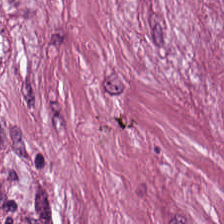FFPE. H&E-stained tissue section. 224×224 pixel tile.
Predominantly cancer-associated stroma.
